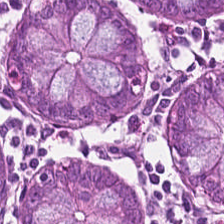Tissue type: benign colonic mucosa.
